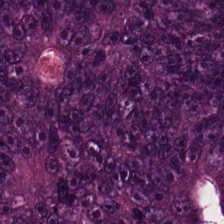H&E. Predominantly colorectal adenocarcinoma epithelium.
